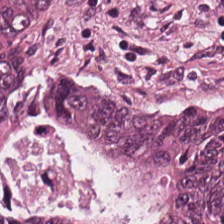0.5 microns per pixel. H&E-stained tissue section — Showing adenocarcinoma.
